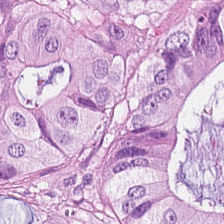Hematoxylin and eosin · FFPE tissue section · 0.5 µm per pixel — Q: Classify this patch.
A: This is tumor epithelium.
